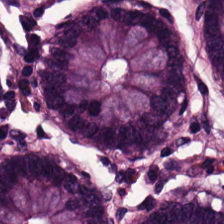Stain: hematoxylin-and-eosin stained section.
Tile size: 224×224 px tile.
Resolution: 20× equivalent magnification.
Predominant tissue: benign colonic mucosa.
